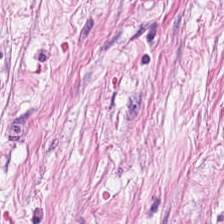Brightfield. H&E. 0.5 µm per pixel. Showing tumor-associated stroma.
